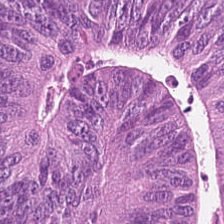Classification — tumor epithelium.
